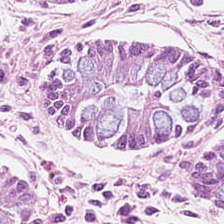20× equivalent magnification; hematoxylin-and-eosin stained section — The tissue here is normal colonic mucosa.
